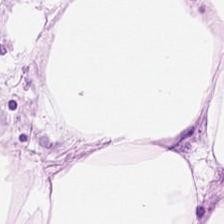H&E-stained tissue section — {"tissue_type": "adipose"}
